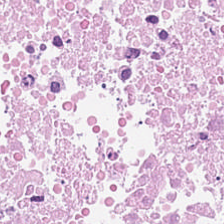Stain: hematoxylin-and-eosin stained section.
Preparation: FFPE tissue section.
Classification: cellular debris.
